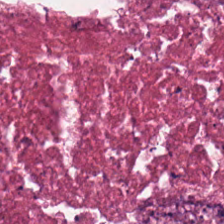Hematoxylin-and-eosin stained section; whole-slide-image patch — Tissue type — debris.
